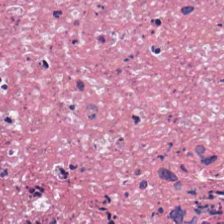Hematoxylin and eosin · WSI patch — Predominant tissue: necrotic debris.
